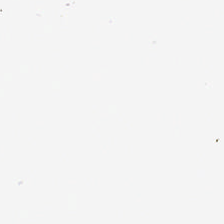Formalin-fixed paraffin-embedded section; 224×224 pixel tile; hematoxylin-and-eosin stained section — Content: empty background.
